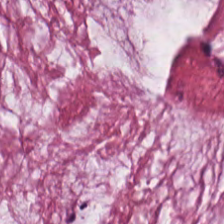H&E.
Predominantly mucus.
